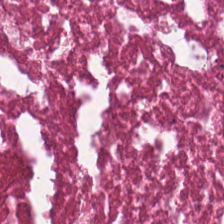H&E stain · whole-slide-image patch · 0.5 µm per pixel — Q: What tissue is shown?
A: Cellular debris.
